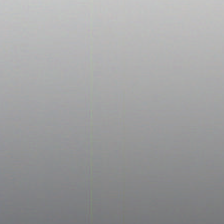Hematoxylin and eosin — Background — no tissue in this field.
